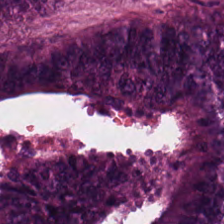Hematoxylin and eosin; 0.5 microns per pixel.
Colorectal adenocarcinoma.
